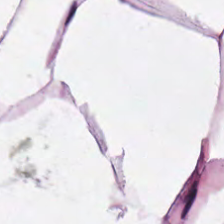Hematoxylin-and-eosin stained section. Brightfield. Adipose tissue.
